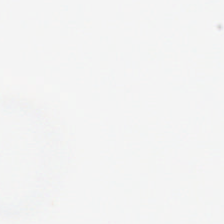Stain: hematoxylin and eosin.
Preparation: FFPE.
Classification: empty background.
